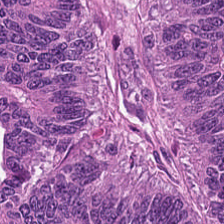WSI patch; H&E; 0.5 µm per pixel. {"tissue_type": "tumor epithelium"}
